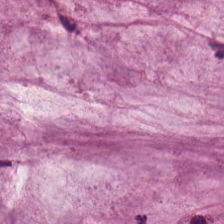Formalin-fixed paraffin-embedded section; hematoxylin-and-eosin stained section.
The tissue here is mucus.
